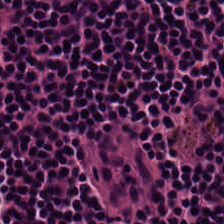Histology — lymphocytes.
